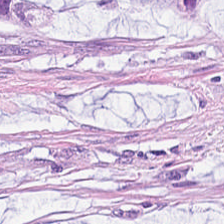20× equivalent magnification · H&E stain — This field is mucin.
